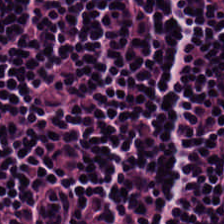The tissue class is lymphocytes.
